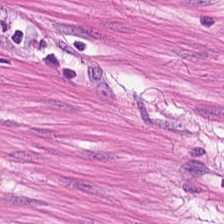H&E-stained tissue section — Tissue type — smooth-muscle tissue.
